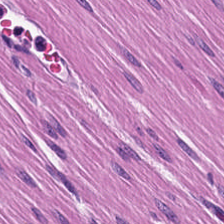H&E stain; 224×224 px patch. Tissue = smooth muscle.
